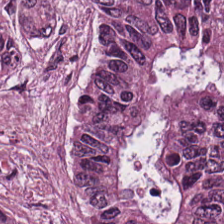Hematoxylin and eosin. Predominantly malignant epithelium.
